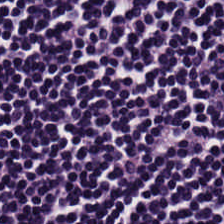224×224 px tile · hematoxylin and eosin · 0.5 µm per pixel. Predominantly lymphocyte aggregate.
